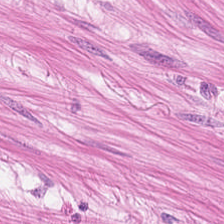Predominant tissue = muscularis.
